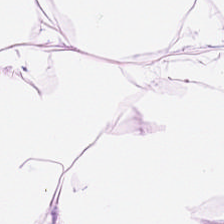0.5 µm/px. H&E-stained tissue section.
Tissue class — adipose.
